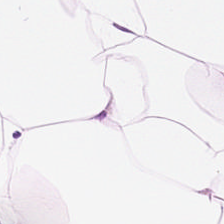Q: What does this patch show?
A: It is adipocytes.
